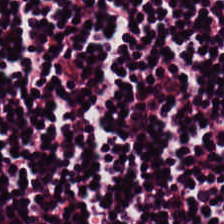Brightfield; hematoxylin and eosin.
Predominantly lymphocytic infiltrate.
